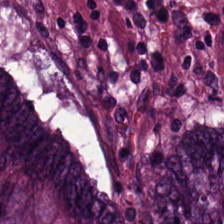H&E. Predominant tissue — tumor epithelium.
